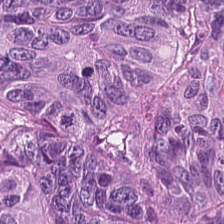Hematoxylin and eosin. 20× equivalent magnification — This patch shows adenocarcinoma.
